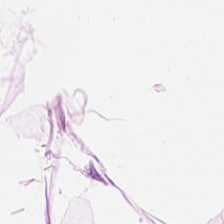Hematoxylin-and-eosin stained section · WSI patch — Tissue type: adipocytes.
